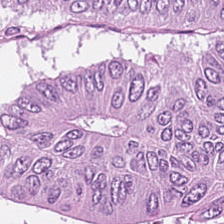Hematoxylin and eosin. Q: What does this patch show?
A: This is malignant epithelium.
